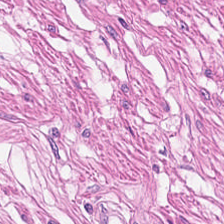Stain: H&E.
Predominant tissue: muscularis.
